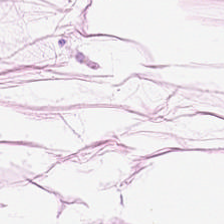Q: Classify this patch.
A: It is fat tissue.
